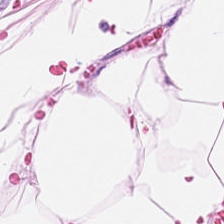Tissue — adipose.
